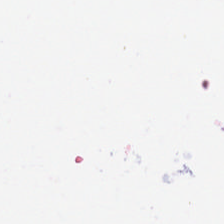FFPE tissue section · H&E · 224×224 px tile.
Classification: background (no tissue).
